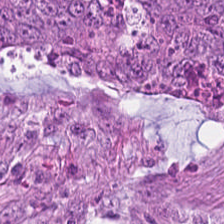H&E stain. 0.5 µm per pixel.
Q: What does this patch show?
A: Adenocarcinoma.
